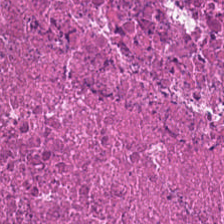0.5 microns per pixel · H&E — Tissue type — necrotic debris.
